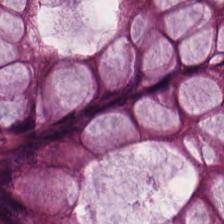Histology — benign colonic mucosa.
